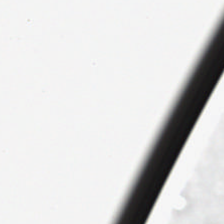Field content: empty background.
